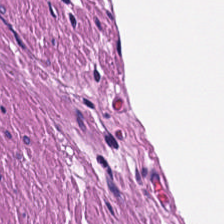This patch shows muscularis.
